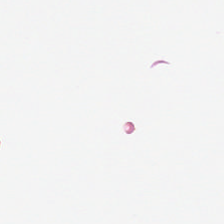Hematoxylin-and-eosin stained section. 224×224 px tile.
Finding → empty background.
